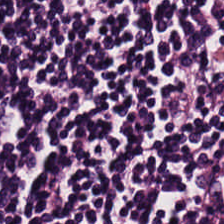H&E-stained section; the field shows lymphoid infiltrate.
